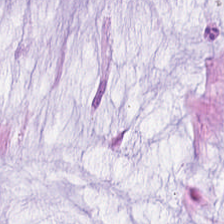H&E-stained tissue section; whole-slide-image patch. The predominant tissue is mucin.
